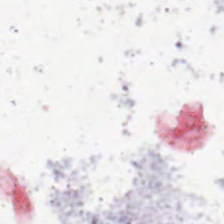Field content: background.
